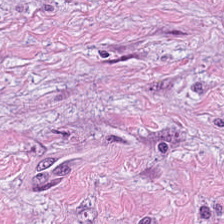Hematoxylin and eosin.
Histology — desmoplastic stroma.
